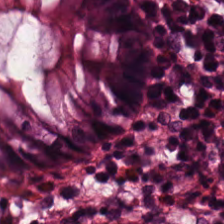Q: Classify this patch.
A: This is benign colonic mucosa.
